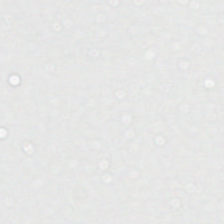H&E-stained tissue section. Q: What is shown here?
A: This is no tissue.
